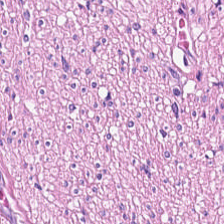FFPE tissue section · H&E — Tissue class: muscularis.
